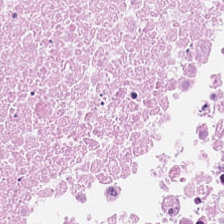Classification = debris.
